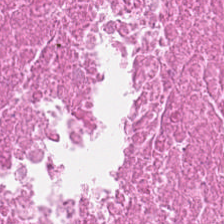Classification = cellular debris.
